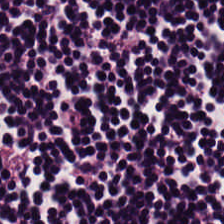Predominantly lymphoid infiltrate.
